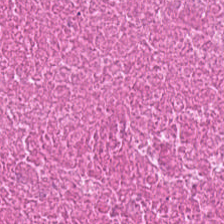Hematoxylin-and-eosin stained section.
Cellular debris.
